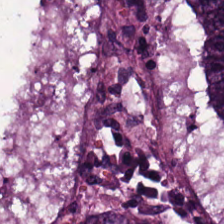H&E stain · 224×224 px tile. Predominant tissue = colorectal adenocarcinoma.
